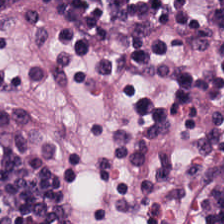Stain: H&E-stained tissue section.
Tissue: lymphocyte aggregate.
